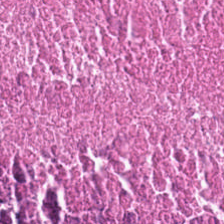Hematoxylin-and-eosin section: debris.
